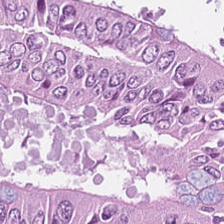Hematoxylin-and-eosin stained section — The tissue here is tumor epithelium.
